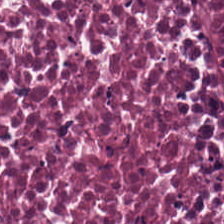H&E · WSI patch · formalin-fixed paraffin-embedded section — The predominant tissue is necrotic debris.
